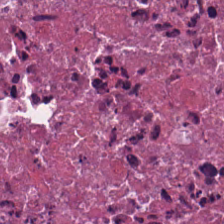Predominantly cellular debris.
